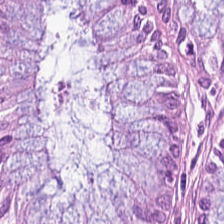Hematoxylin-and-eosin stained section — Showing normal colon mucosa.
